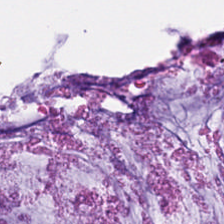Hematoxylin-and-eosin stained section. FFPE. Predominantly mucin.
